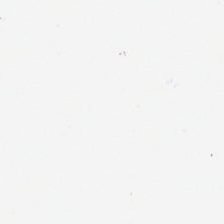Q: What is shown here?
A: This is no tissue.
